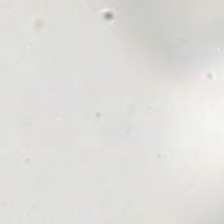H&E.
The content is no tissue.
